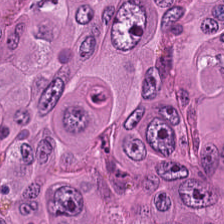FFPE · hematoxylin and eosin. Q: What tissue is shown?
A: The field shows tumor epithelium.
